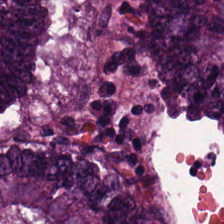Stain: H&E stain.
Tile size: 224×224 px tile.
Acquisition: whole-slide-image patch.
Predominant tissue: adenocarcinoma.
